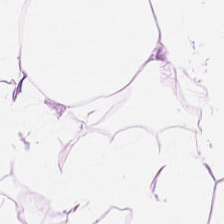Brightfield microscopy. H&E-stained tissue section. 20× equivalent magnification.
Impression — adipocytes.
